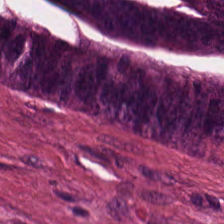H&E stain. Q: What type of tissue is this?
A: This is colorectal adenocarcinoma epithelium.
